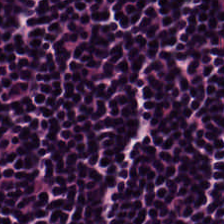H&E-stained tissue section; 224×224 px patch; 0.5 µm per pixel. Histology — lymphocytes.
